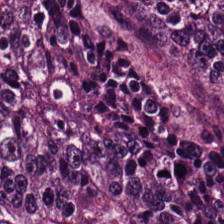H&E-stained tissue section; whole-slide-image patch. Tissue type — adenocarcinoma.
